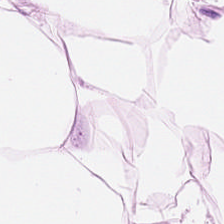H&E — Predominantly fat tissue.
